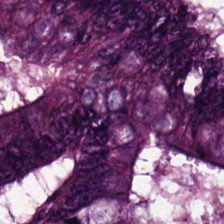H&E stain.
Classification — tumor epithelium.
